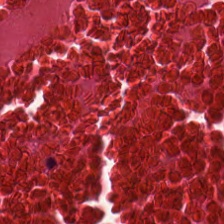The tissue is debris.
